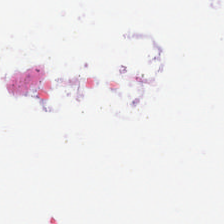H&E stain. 224×224 px tile. FFPE tissue section.
Q: What is shown in this field?
A: The field shows no tissue.
